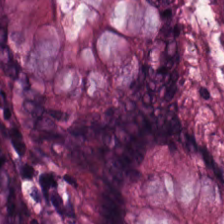H&E.
Q: What is shown here?
A: Normal colon mucosa.
